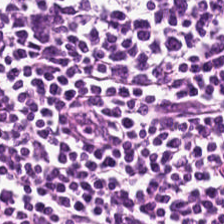FFPE tissue section; H&E.
The predominant tissue is lymphocytic infiltrate.
